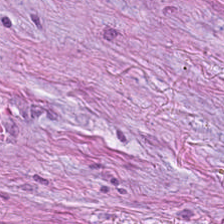H&E.
Q: What type of tissue is this?
A: It is tumor stroma.
